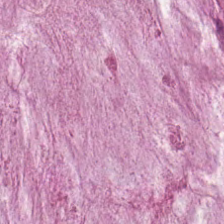H&E; 0.5 microns per pixel — Predominantly mucus.
